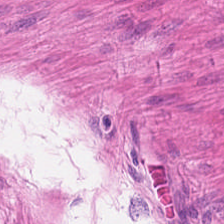{"tissue_type": "muscularis"}
